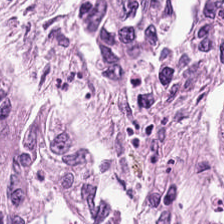Formalin-fixed paraffin-embedded section. Hematoxylin and eosin. 0.5 microns per pixel. Q: What tissue type is shown here?
A: The field shows colorectal adenocarcinoma epithelium.
